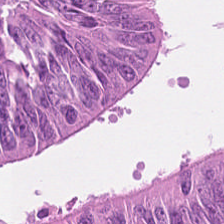H&E stain — Q: What is shown in this field?
A: Adenocarcinoma.
